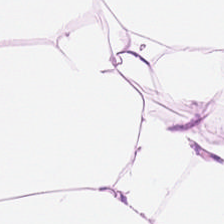Q: What tissue is shown?
A: The field shows adipose tissue.
